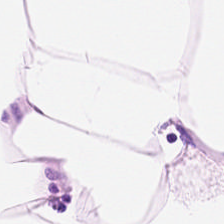Hematoxylin and eosin.
Adipose.
